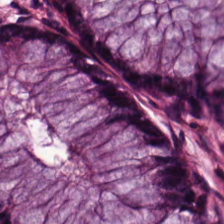Hematoxylin-and-eosin stained section — This patch shows benign colonic mucosa.
